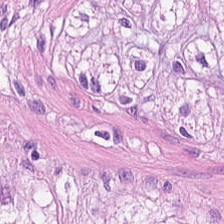Hematoxylin-and-eosin stained section. 224×224 px tile. 20× equivalent magnification — Finding — smooth muscle.
